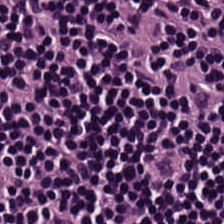H&E-stained tissue section. Brightfield microscopy.
This field is lymphocyte aggregate.
